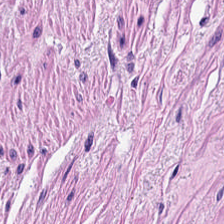Stain: H&E.
Resolution: 0.5 microns per pixel.
Predominant tissue: smooth-muscle tissue.
